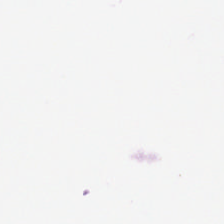Background — no tissue in this field.
